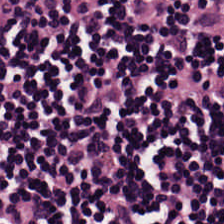224×224 px tile; H&E-stained tissue section; FFPE — Tissue type — lymphocyte aggregate.
